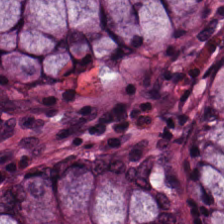FFPE · 0.5 microns per pixel · hematoxylin-and-eosin stained section — Showing benign colonic mucosa.
